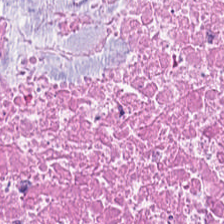Brightfield microscopy · 20× equivalent magnification · hematoxylin-and-eosin stained section.
Finding → necrotic debris.
